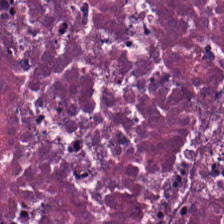Tissue class = debris.
